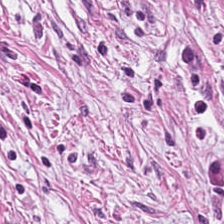Formalin-fixed paraffin-embedded section · 224×224 px patch · hematoxylin and eosin — Impression — desmoplastic stroma.
